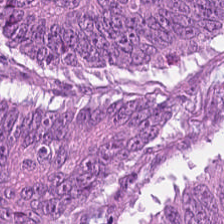Hematoxylin-and-eosin stained section · 224×224 pixel tile. Finding — colorectal adenocarcinoma.
